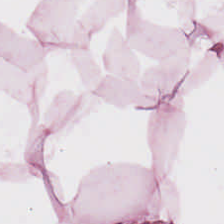H&E stain. 0.5 µm/px. Classification: fat tissue.
